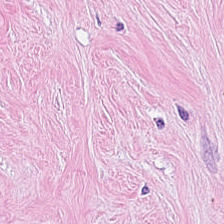Predominantly desmoplastic stroma.
